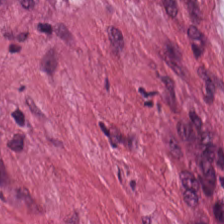The tissue here is tumor stroma.
